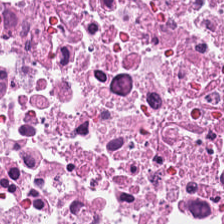Stain: H&E.
Predominant tissue: necrotic debris.
